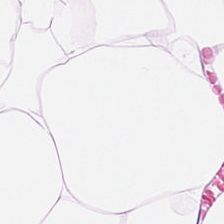H&E stain — This patch shows fat tissue.
